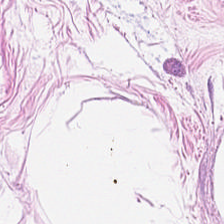Q: What is shown in this field?
A: The field shows adipose.
